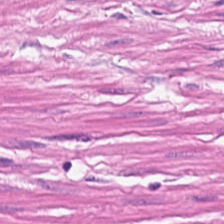Smooth-muscle tissue.
